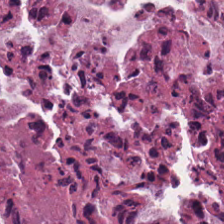H&E stain. The predominant tissue is cellular debris.
